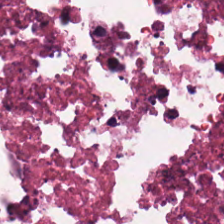Cellular debris.
